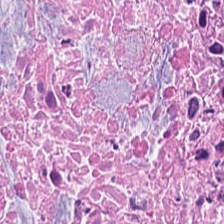Tissue class — necrotic debris.
